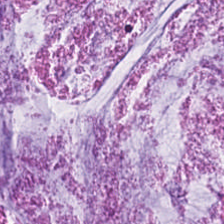FFPE · hematoxylin-and-eosin stained section.
This patch shows mucin.
